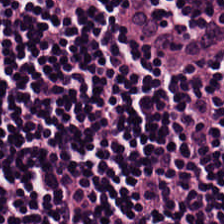H&E-stained tissue section. 0.5 µm/px. Whole-slide-image patch. Predominantly lymphoid infiltrate.
